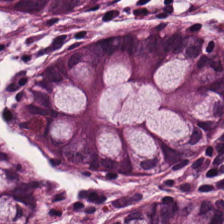FFPE tissue section; H&E-stained tissue section.
The predominant tissue is benign colonic mucosa.
